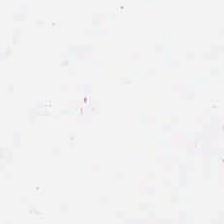This patch shows no tissue.
